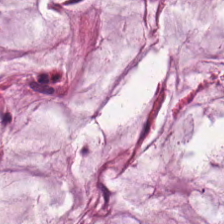H&E. The predominant tissue is mucin.
